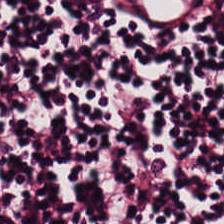Hematoxylin and eosin — Impression — lymphocyte aggregate.
